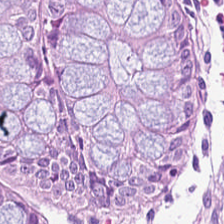Benign colonic mucosa.
